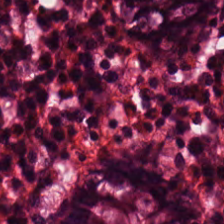Impression → benign colonic mucosa.
